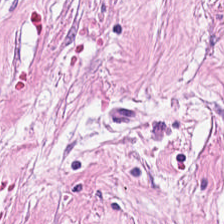Stain: H&E-stained tissue section.
Acquisition: brightfield microscopy.
Tissue: cancer-associated stroma.
